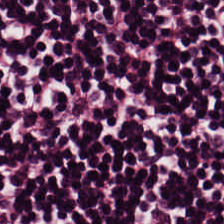0.5 µm per pixel; H&E-stained tissue section — Q: Classify this patch.
A: This is lymphoid infiltrate.
